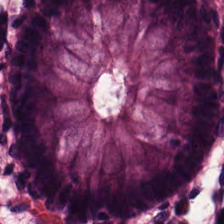Hematoxylin and eosin.
Tissue class = normal colon mucosa.
